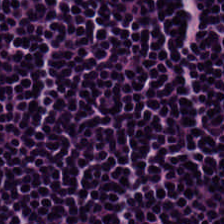Formalin-fixed paraffin-embedded section; hematoxylin-and-eosin stained section.
Classification = lymphoid infiltrate.
